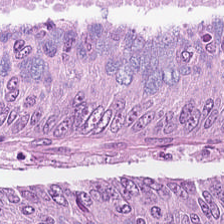H&E stain. Showing colorectal adenocarcinoma epithelium.
